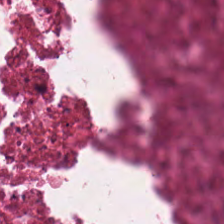Hematoxylin-and-eosin stained section. Histology → necrotic debris.
